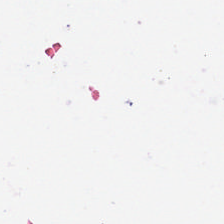No tissue present; background only.
